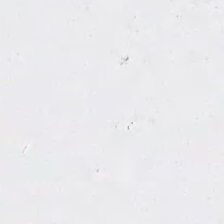Stain: hematoxylin and eosin.
Classification: no tissue.
